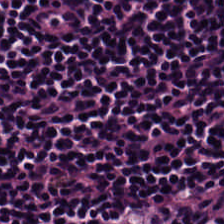H&E-stained tissue section — This patch shows lymphocyte aggregate.
